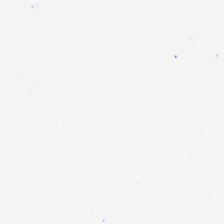Field content = no tissue.
